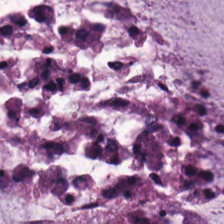Hematoxylin and eosin; 224×224 px patch; brightfield. The predominant tissue is mucin.
